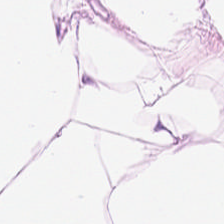Histology → adipocytes.
